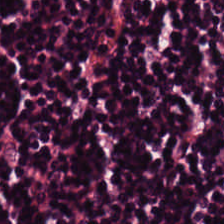224×224 pixel tile. Hematoxylin and eosin. Showing lymphocytic infiltrate.
